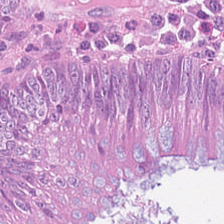Showing tumor epithelium.
